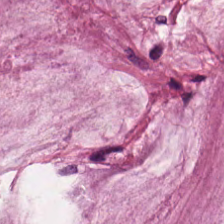Hematoxylin-and-eosin stained section. Predominantly mucus.
